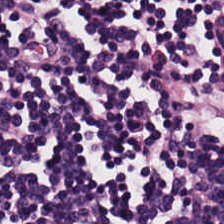H&E · 224×224 px patch. The tissue class is lymphocytes.
